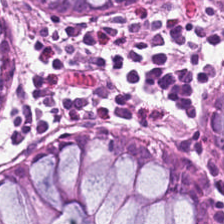Stain: hematoxylin-and-eosin stained section.
Tissue: non-neoplastic colon mucosa.
